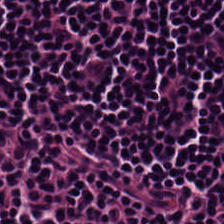H&E stain — Showing lymphocyte aggregate.
